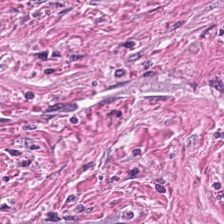0.5 microns per pixel; H&E. Predominant tissue = tumor-associated stroma.
